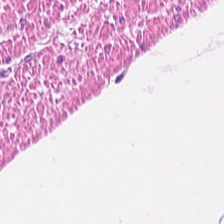H&E-stained tissue section · 0.5 µm/px. Histology — smooth muscle.
